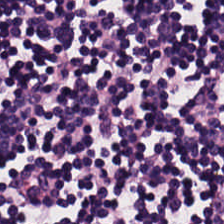0.5 µm per pixel; H&E-stained tissue section.
Q: Identify the tissue.
A: This is lymphocyte aggregate.
